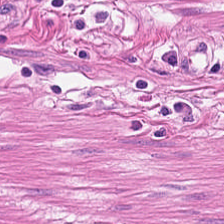Hematoxylin-and-eosin stained section · 20× equivalent magnification.
Smooth muscle.
